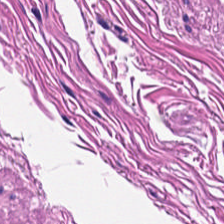Tissue = smooth muscle.
